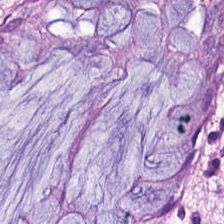Q: What does this patch show?
A: This is benign colonic mucosa.
